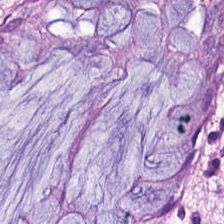Q: What does this patch show?
A: This is benign colonic mucosa.
